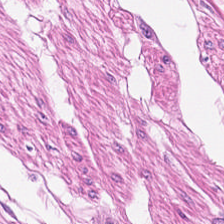Hematoxylin-and-eosin stained section. 224×224 px patch — {"tissue_type": "smooth muscle"}
